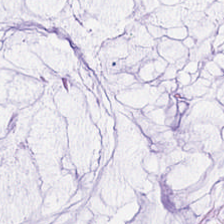H&E stain; FFPE tissue section; 20× equivalent magnification — Histology → mucus.
